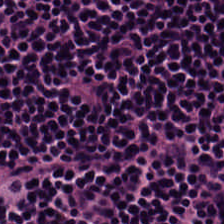The classification is lymphocyte aggregate.
